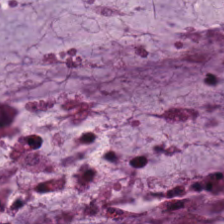H&E. 224×224 pixel tile. Extracellular mucin.
